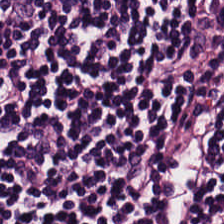This patch shows lymphocytic infiltrate.
